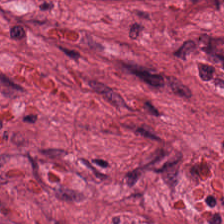H&E stain.
{"tissue_type": "desmoplastic stroma"}
